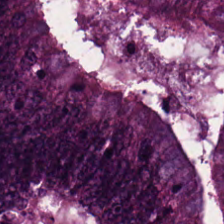H&E stain — Tissue = colorectal adenocarcinoma.
